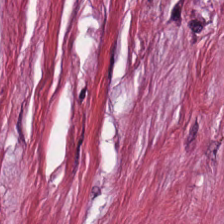Hematoxylin and eosin. Q: Identify the tissue.
A: This is tumor stroma.
